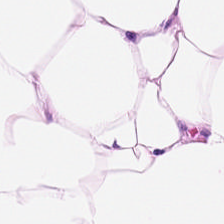Stain: hematoxylin and eosin.
Predominant tissue: fat tissue.
